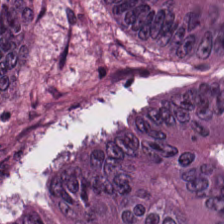This field is adenocarcinoma.
